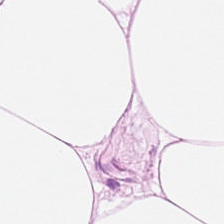Hematoxylin-and-eosin stained section.
This patch shows adipose tissue.
